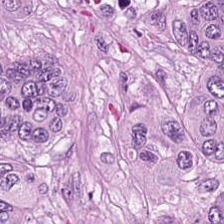Stain: H&E-stained tissue section.
Tile size: 224×224 pixel tile.
Tissue type: colorectal adenocarcinoma epithelium.
